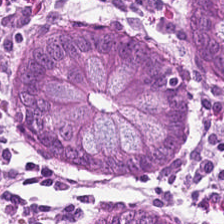Brightfield microscopy · formalin-fixed paraffin-embedded section · hematoxylin-and-eosin stained section.
Q: What is shown in this field?
A: This is non-neoplastic colon mucosa.
